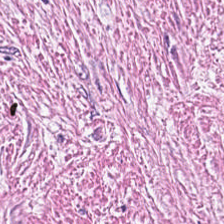FFPE · hematoxylin and eosin — The classification is tumor-associated stroma.
